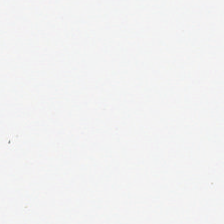Field content — background (no tissue).
